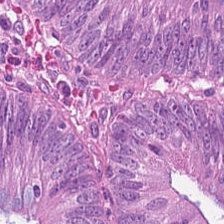{"tissue_type": "colorectal adenocarcinoma epithelium"}
